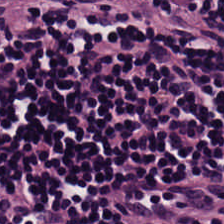Hematoxylin and eosin — Q: What tissue is shown?
A: It is lymphoid infiltrate.
